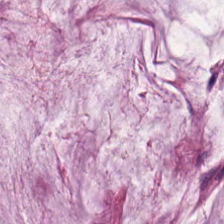224×224 pixel tile; brightfield; hematoxylin-and-eosin stained section.
Classification — mucus.
